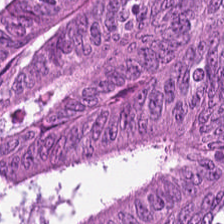H&E. Predominant tissue = colorectal adenocarcinoma.
